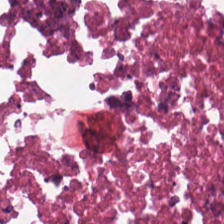Predominant tissue: necrotic debris.
